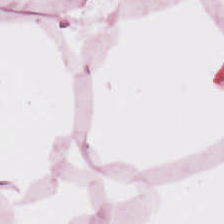0.5 microns per pixel. H&E stain — Q: What tissue is shown?
A: Adipose tissue.
